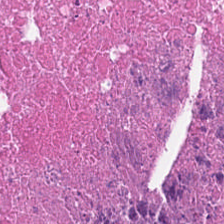Classification = cellular debris.
